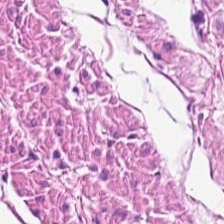Histology → muscularis.
